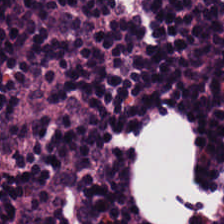H&E stain.
{"tissue_type": "lymphoid infiltrate"}
